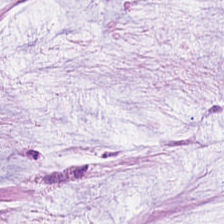Stain: hematoxylin-and-eosin stained section.
Tissue class: extracellular mucin.
